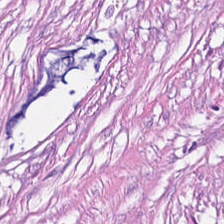Hematoxylin and eosin · brightfield. Q: Identify the tissue.
A: It is desmoplastic stroma.
